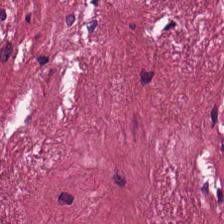H&E.
Showing desmoplastic stroma.
